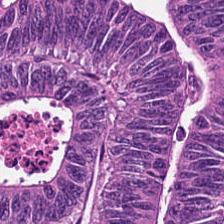Q: What tissue type is shown here?
A: The field shows colorectal adenocarcinoma.
